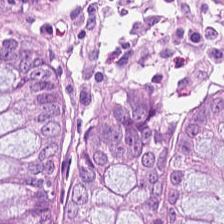Stain: H&E-stained tissue section.
Classification: normal colon mucosa.
